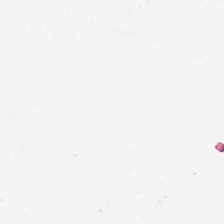Stain: hematoxylin-and-eosin stained section.
Resolution: 20× equivalent magnification.
Field content: background.
